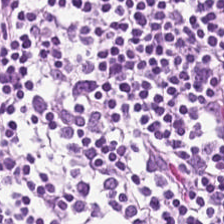H&E.
Q: What does this patch show?
A: It is lymphocyte aggregate.
